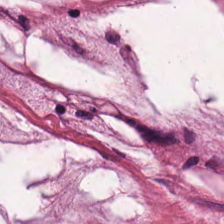Hematoxylin-and-eosin stained section — This patch shows mucus.
